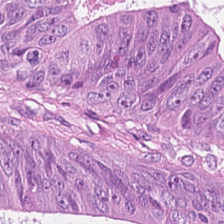Q: Classify this patch.
A: This is adenocarcinoma.
